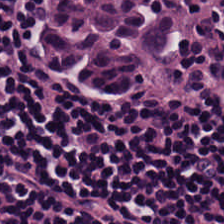Whole-slide-image patch · FFPE tissue section · H&E — Showing lymphocytic infiltrate.
